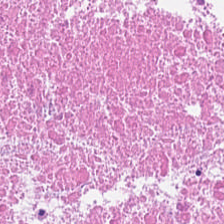Hematoxylin-and-eosin stained section. Impression → necrotic debris.
